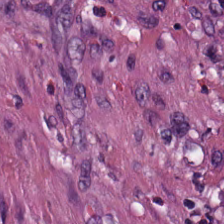Hematoxylin-and-eosin stained section.
Showing desmoplastic stroma.
